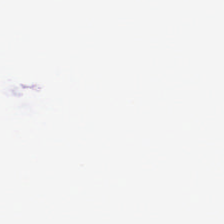Q: What does this patch show?
A: It is empty background.
